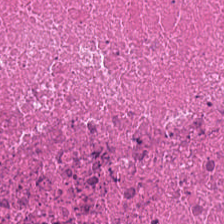Predominantly necrotic debris.
